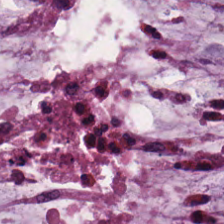Hematoxylin and eosin — This field is mucus.
